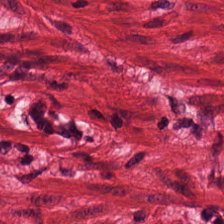{"tissue_type": "smooth muscle"}
